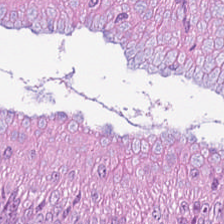Hematoxylin-and-eosin stained section — The tissue class is colorectal adenocarcinoma epithelium.
